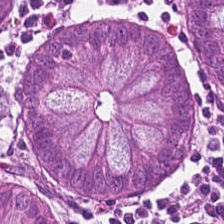H&E stain. Impression — non-neoplastic colon mucosa.
